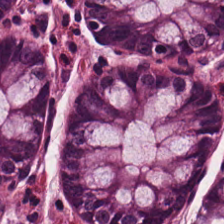FFPE tissue section · hematoxylin-and-eosin stained section.
Predominant tissue: normal colonic mucosa.
